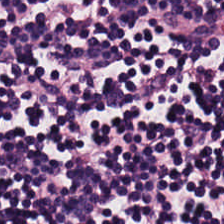H&E stain — Finding — lymphocytes.
